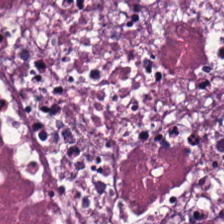H&E stain; brightfield.
Predominant tissue — cellular debris.
